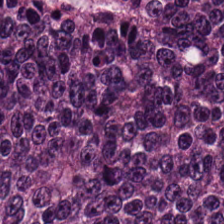Predominantly tumor epithelium.
